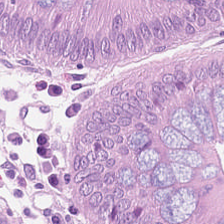Tissue = non-neoplastic colon mucosa.
